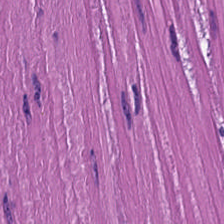This patch shows smooth muscle.
